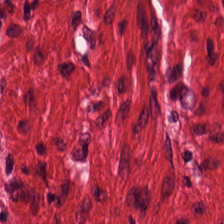H&E; brightfield microscopy — The tissue here is muscularis.
